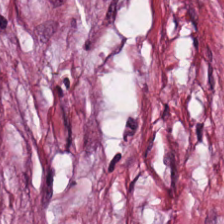0.5 µm per pixel. Brightfield microscopy. Hematoxylin-and-eosin stained section. Q: Identify the tissue.
A: This is cancer-associated stroma.
